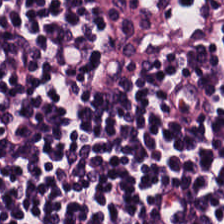H&E-stained tissue section. 0.5 µm/px. 224×224 px tile. The tissue here is lymphoid infiltrate.
